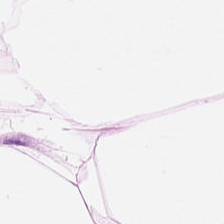Tissue = adipocytes.
